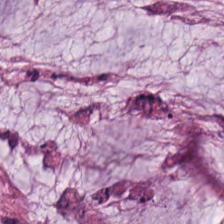H&E. The tissue here is extracellular mucin.
